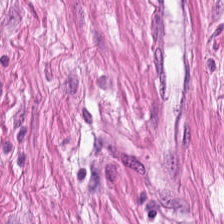The predominant tissue is muscularis.
